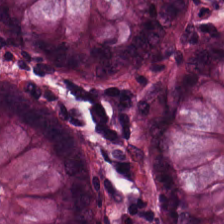H&E stain — Predominant tissue — normal colonic mucosa.
